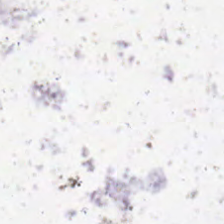224×224 px patch · H&E — Impression → no tissue.
